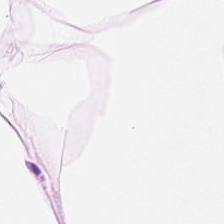Hematoxylin-and-eosin stained section — This field is adipocytes.
